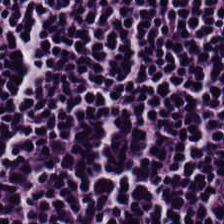Impression — lymphocytic infiltrate.
